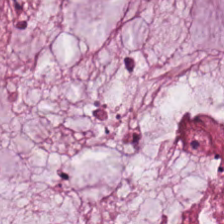Stain: H&E-stained tissue section.
Acquisition: whole-slide-image patch.
Predominant tissue: mucin.
